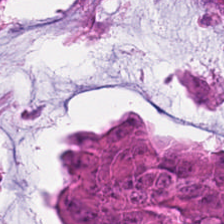FFPE tissue section; 0.5 µm per pixel; H&E-stained tissue section. This patch shows tumor epithelium.
